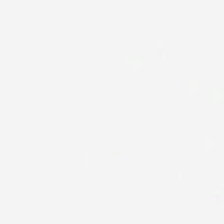H&E stain · FFPE tissue section — Field content: background.
